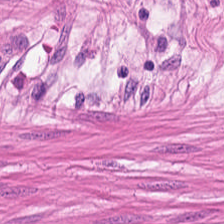0.5 µm/px · hematoxylin-and-eosin stained section — Q: What type of tissue is this?
A: This is smooth-muscle tissue.
